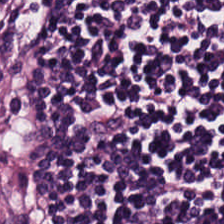FFPE · H&E stain — Impression — lymphocyte aggregate.
